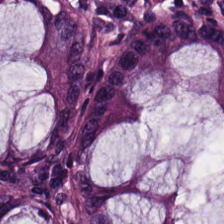H&E.
Tissue class — normal colonic mucosa.
